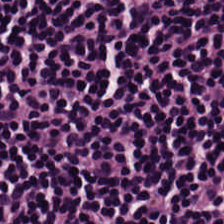FFPE · H&E-stained tissue section — The tissue here is lymphocyte aggregate.
